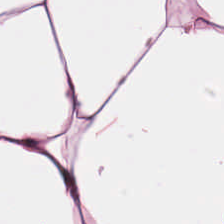Hematoxylin-and-eosin stained section — Q: Identify the tissue.
A: Adipose.
